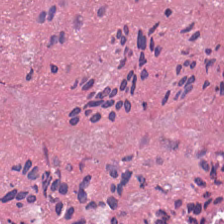Hematoxylin-and-eosin stained section — The tissue is necrotic debris.
